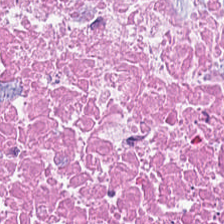Q: What is the predominant tissue type?
A: This is debris.
